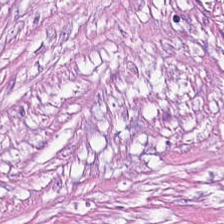Stain: H&E-stained tissue section.
Acquisition: WSI patch.
Tile size: 224×224 pixel tile.
Tissue class: tumor-associated stroma.
